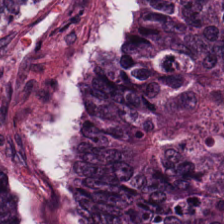The predominant tissue is colorectal adenocarcinoma epithelium.
